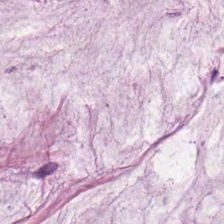Extracellular mucin.
